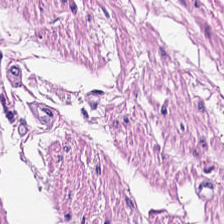Tissue = muscularis.
